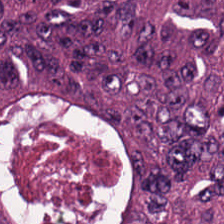Hematoxylin-and-eosin stained section — The tissue here is colorectal adenocarcinoma.
